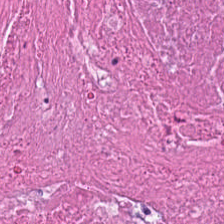H&E-stained tissue section — The predominant tissue is debris.
